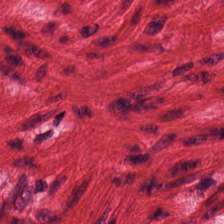Stain: H&E-stained tissue section.
Tissue: smooth muscle.
